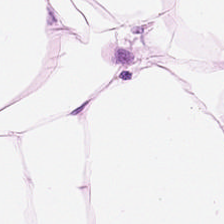H&E-stained tissue section — This patch shows adipocytes.
